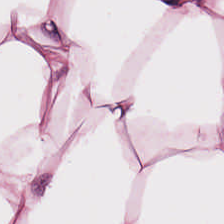Hematoxylin-and-eosin stained section.
Tissue class — adipocytes.
